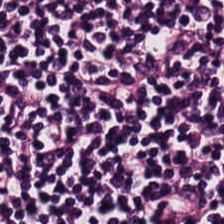Stain: H&E.
Resolution: 0.5 microns per pixel.
Tissue: lymphocytes.
